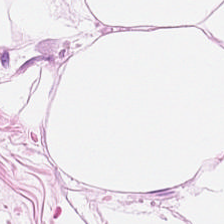The tissue is fat tissue.
